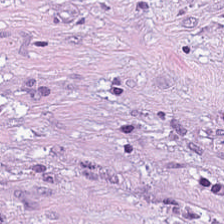H&E stain. Predominant tissue — desmoplastic stroma.
